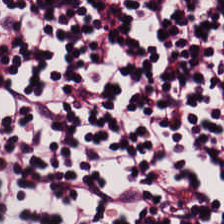Stain: H&E stain.
Tissue: lymphoid infiltrate.
